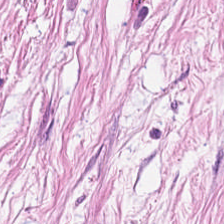H&E · 20× equivalent magnification · 224×224 pixel tile — Q: What does this patch show?
A: Desmoplastic stroma.
